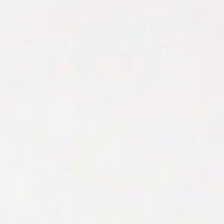No tissue present; background only.
